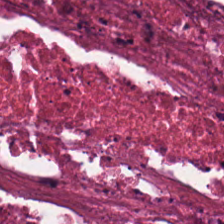FFPE; hematoxylin and eosin — The tissue here is necrotic debris.
